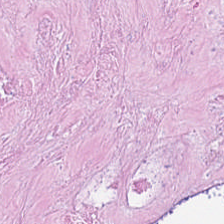H&E stain.
Impression → necrotic debris.
